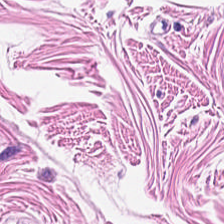H&E — muscularis.
